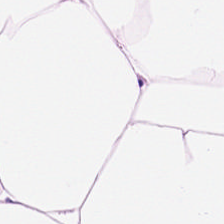Hematoxylin-and-eosin stained section. Finding — adipose.
